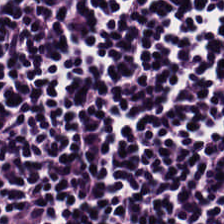Q: What type of tissue is this?
A: The field shows lymphoid infiltrate.
